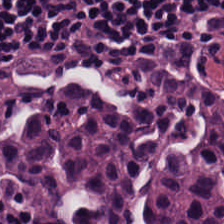H&E — lymphoid infiltrate.
